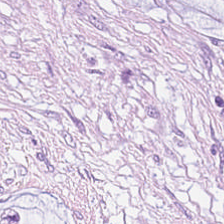Hematoxylin and eosin. Predominantly mucin.
